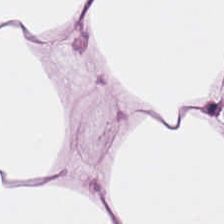Hematoxylin-and-eosin stained section.
Tissue type — adipose tissue.
